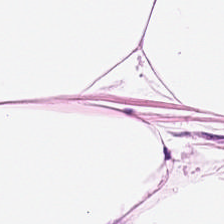Hematoxylin and eosin. Tissue — adipocytes.
